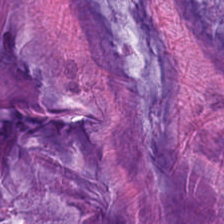20× equivalent magnification; whole-slide-image patch; H&E-stained tissue section — Tissue = mucin.
